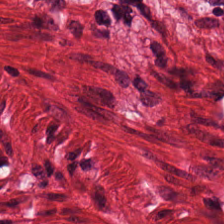Hematoxylin-and-eosin stained section; formalin-fixed paraffin-embedded section. Q: What does this patch show?
A: The field shows smooth-muscle tissue.
